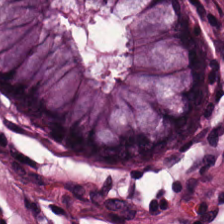Normal colonic mucosa.
